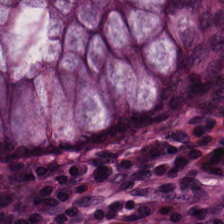Stain: hematoxylin and eosin.
Classification: non-neoplastic colon mucosa.
